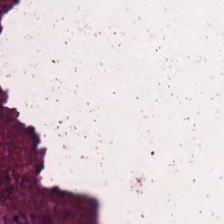Tissue class = cellular debris.
